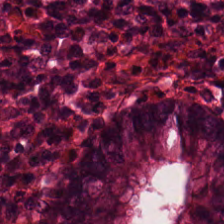H&E. 224×224 pixel tile. 0.5 µm per pixel.
Predominant tissue — normal colonic mucosa.
